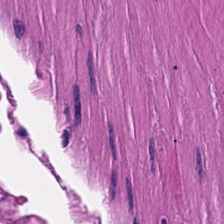Hematoxylin and eosin. Brightfield. 224×224 pixel tile.
Tissue — smooth muscle.
